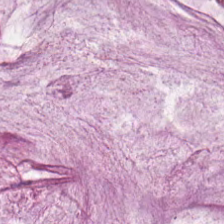Hematoxylin and eosin — Classification = extracellular mucin.
